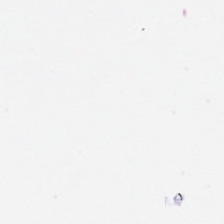Background.
